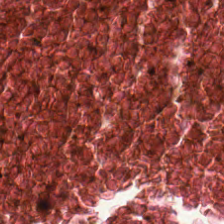H&E-stained tissue section.
This field is debris.
